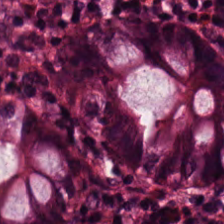Stain: hematoxylin-and-eosin stained section.
Resolution: 0.5 µm/px.
Tile size: 224×224 pixel tile.
Tissue class: benign colonic mucosa.
